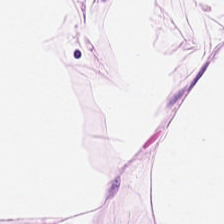H&E-stained tissue section — Q: Identify the tissue.
A: Adipocytes.
